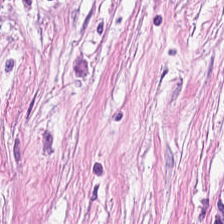H&E. The tissue here is tumor stroma.
